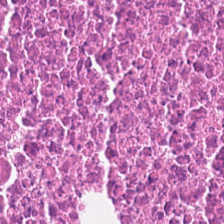H&E-stained tissue section. Whole-slide-image patch. The tissue here is cellular debris.
